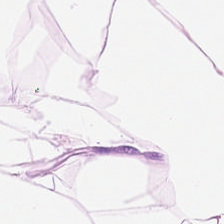H&E stain · brightfield.
Tissue type = adipose.
